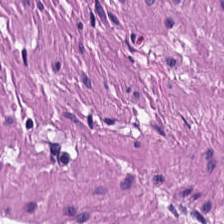H&E-stained tissue section · 224×224 px tile · 20× equivalent magnification.
{"tissue_type": "smooth muscle"}
